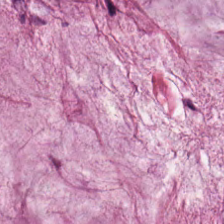H&E stain. FFPE. Q: What is shown in this field?
A: This is mucus.
